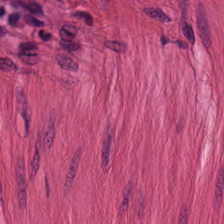0.5 µm/px; H&E — Showing smooth muscle.
